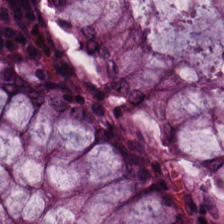This field is non-neoplastic colon mucosa.
